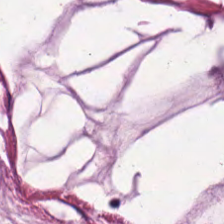Tissue type: mucin.
